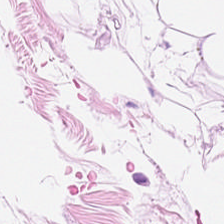0.5 µm/px; H&E stain.
Q: What tissue is shown?
A: This is adipose.
